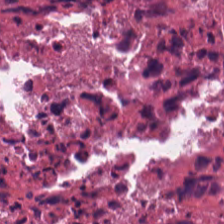Hematoxylin-and-eosin stained section.
Q: What is the predominant tissue type?
A: It is necrotic debris.
